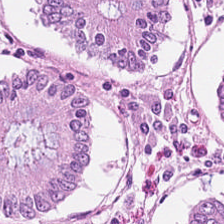Hematoxylin-and-eosin stained section.
The tissue class is normal colon mucosa.
